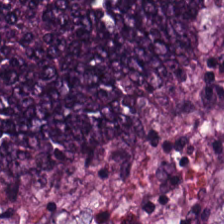H&E-stained tissue section.
The tissue here is colorectal adenocarcinoma.
